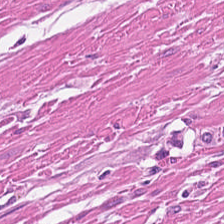FFPE; hematoxylin and eosin. Showing muscularis.
